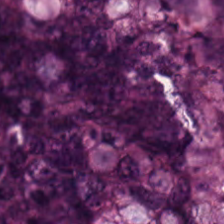H&E-stained tissue section — Adenocarcinoma.
